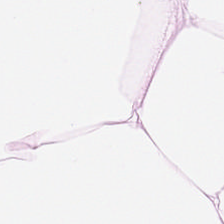Formalin-fixed paraffin-embedded section; hematoxylin-and-eosin stained section; 20× equivalent magnification — This field is adipose tissue.
